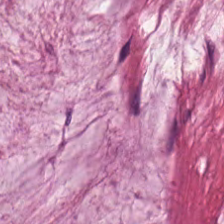Hematoxylin-and-eosin stained section · brightfield microscopy.
Predominantly mucin.
